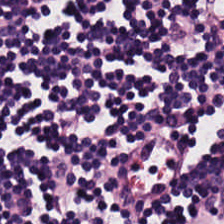Stain: hematoxylin-and-eosin stained section.
Tissue: lymphocytic infiltrate.
